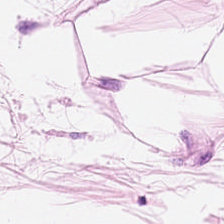H&E stain · 20× equivalent magnification · 224×224 px tile.
Histology → adipose.
